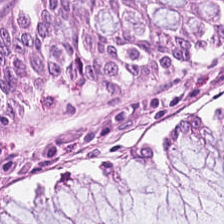Showing benign colonic mucosa.
